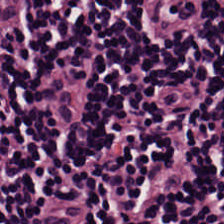Stain: hematoxylin-and-eosin stained section.
Preparation: FFPE.
Resolution: 0.5 µm per pixel.
Tissue type: lymphocytes.
